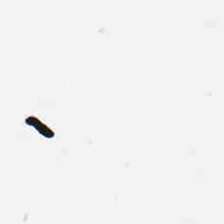Brightfield · hematoxylin-and-eosin stained section — Q: What does this patch show?
A: Empty background.
